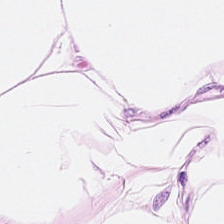Hematoxylin and eosin — Predominantly adipocytes.
